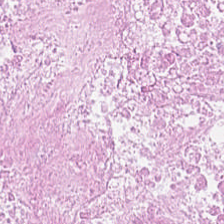Hematoxylin-and-eosin stained section — Q: Identify the tissue.
A: The field shows necrotic debris.
